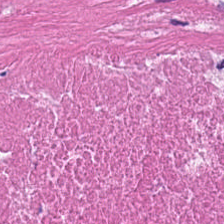0.5 µm/px · brightfield microscopy · H&E-stained tissue section — Tissue type = debris.
